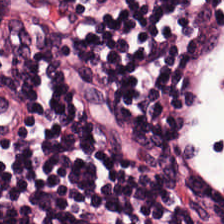H&E-stained tissue section. 20× equivalent magnification. Predominantly lymphoid infiltrate.
